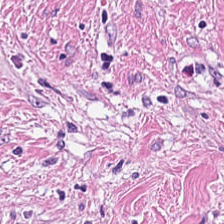H&E stain · WSI patch — Classification: desmoplastic stroma.
